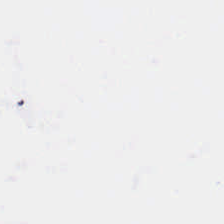Brightfield; hematoxylin-and-eosin stained section; 20× equivalent magnification — No tissue present; background only.
